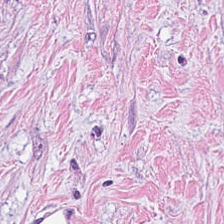Hematoxylin-and-eosin stained section · brightfield.
Finding — cancer-associated stroma.
